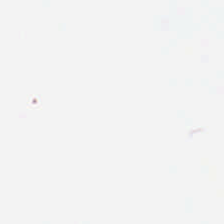Empty background.
